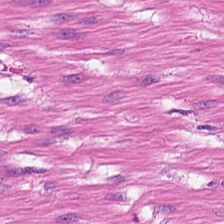Q: What is the predominant tissue type?
A: Muscularis.
